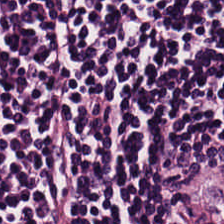224×224 px patch · hematoxylin-and-eosin stained section — Lymphoid infiltrate.
